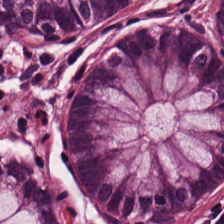Hematoxylin and eosin; formalin-fixed paraffin-embedded section; 0.5 µm per pixel — Showing benign colonic mucosa.
